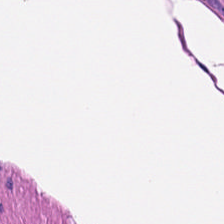224×224 px patch · H&E stain. Tissue class: smooth muscle.
